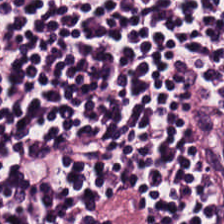Tissue type: lymphocyte aggregate.
